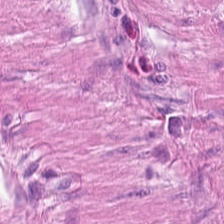Stain: H&E stain.
Predominant tissue: smooth-muscle tissue.
